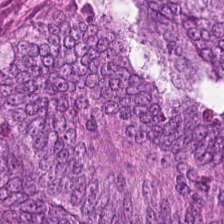Hematoxylin and eosin.
Q: What is the predominant tissue type?
A: Colorectal adenocarcinoma.
